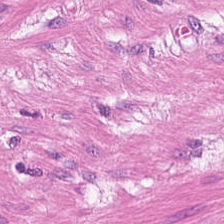Hematoxylin and eosin; 0.5 microns per pixel. Impression — muscularis.
